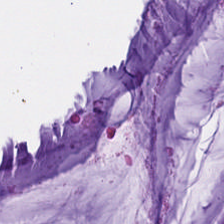Stain: H&E-stained tissue section.
Classification: mucus.
